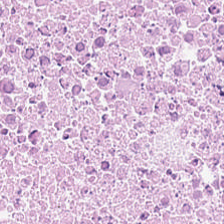Hematoxylin and eosin.
{"tissue_type": "cellular debris"}
